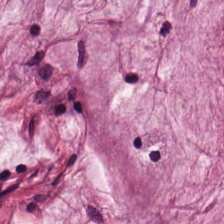The tissue type is mucus.
